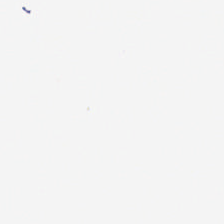Hematoxylin and eosin. This field is background (no tissue).
